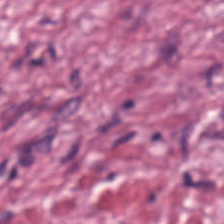The classification is cancer-associated stroma.
